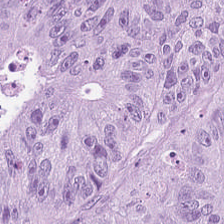H&E.
{"tissue_type": "tumor epithelium"}
